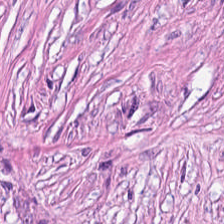Hematoxylin-and-eosin stained section.
This patch shows cancer-associated stroma.
